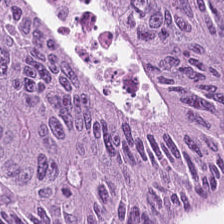Whole-slide-image patch · hematoxylin-and-eosin stained section.
Impression — colorectal adenocarcinoma epithelium.
